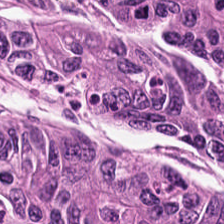H&E stain; 224×224 px patch; formalin-fixed paraffin-embedded section. Histology — colorectal adenocarcinoma.
